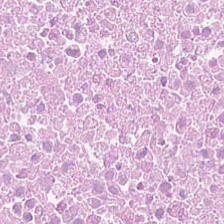Hematoxylin-and-eosin stained section; FFPE tissue section — Necrotic debris.
